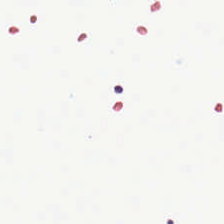Classification — no tissue.
